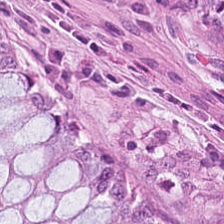Hematoxylin-and-eosin stained section. The tissue is normal colon mucosa.
